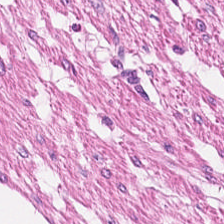0.5 µm/px. Hematoxylin-and-eosin stained section.
This patch shows smooth muscle.
